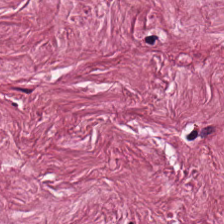Hematoxylin and eosin.
Showing desmoplastic stroma.
